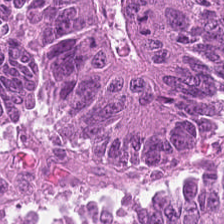Stain: hematoxylin and eosin.
Predominant tissue: adenocarcinoma.
